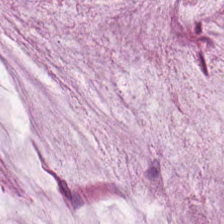Finding → mucin.
